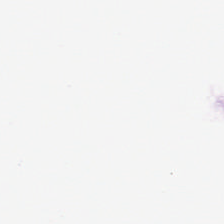H&E — Classification: background.
